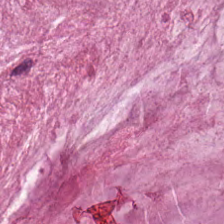H&E-stained tissue section — Q: What type of tissue is this?
A: It is extracellular mucin.
